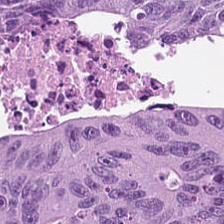H&E.
The tissue is malignant epithelium.
